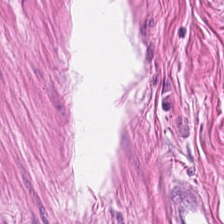Stain: H&E-stained tissue section.
Predominant tissue: muscularis.
